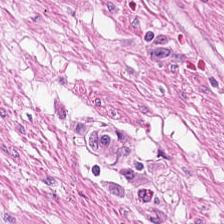Hematoxylin and eosin — This patch shows smooth muscle.
